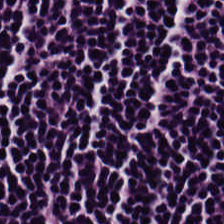H&E stain · formalin-fixed paraffin-embedded section · brightfield microscopy.
Predominantly lymphocytic infiltrate.
